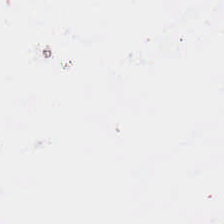Brightfield · hematoxylin-and-eosin stained section.
Empty field — empty background.
